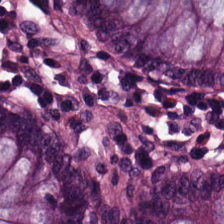Stain: H&E stain.
Predominant tissue: normal colonic mucosa.
